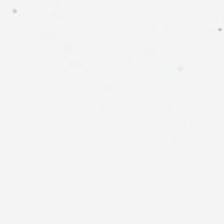H&E-stained tissue section; 224×224 pixel tile. Empty field — no tissue.
